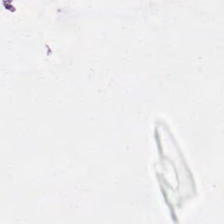Stain: H&E stain.
Content: background (no tissue).
